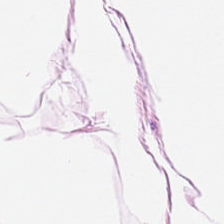H&E stain · FFPE · 224×224 px tile. Q: What tissue is shown?
A: The field shows adipose tissue.
